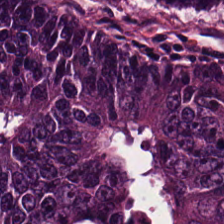Hematoxylin-and-eosin stained section.
{"tissue_type": "malignant epithelium"}
